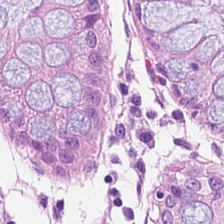Hematoxylin and eosin · 224×224 px tile.
{"tissue_type": "non-neoplastic colon mucosa"}
